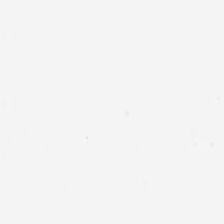Q: What is shown in this field?
A: It is empty background.
